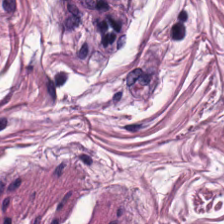Predominantly muscularis.
